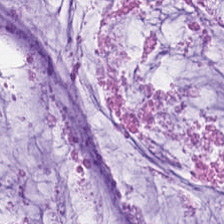Hematoxylin-and-eosin stained section. Formalin-fixed paraffin-embedded section. 20× equivalent magnification.
Q: What is shown in this field?
A: The field shows extracellular mucin.
